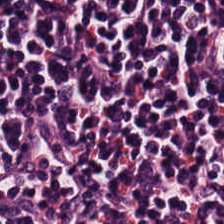Showing lymphocytes.
